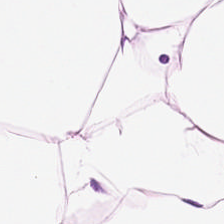H&E stain; 224×224 px tile; 0.5 µm per pixel. Q: What does this patch show?
A: It is adipose.
